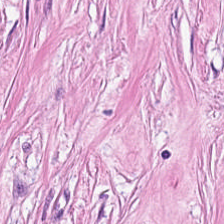Showing tumor stroma.
